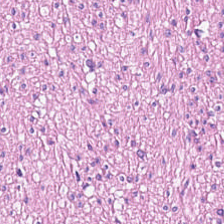H&E. The predominant tissue is muscularis.
